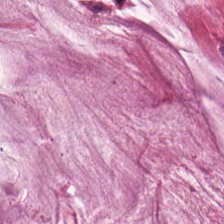H&E.
This patch shows extracellular mucin.
